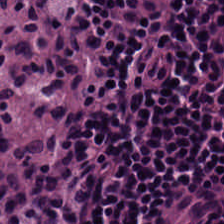Classification: lymphoid infiltrate.
